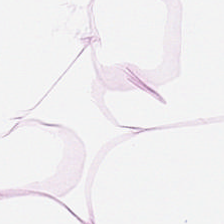Stain: H&E stain.
Tile size: 224×224 px tile.
Tissue: adipocytes.
